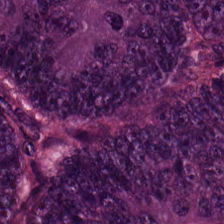This patch shows colorectal adenocarcinoma epithelium.
